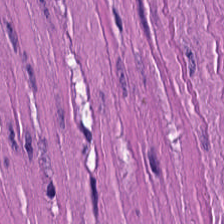224×224 pixel tile; H&E.
Classification = muscularis.
